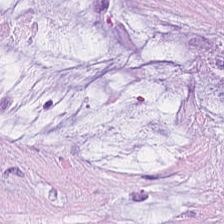H&E. Q: What does this patch show?
A: It is mucus.
